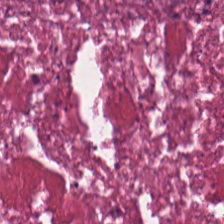Hematoxylin and eosin.
Histology → necrotic debris.
